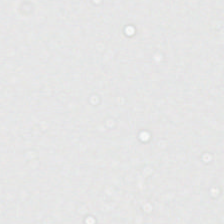This field is background (no tissue).
